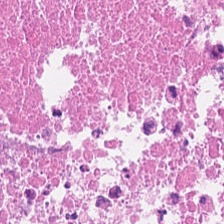H&E. Tissue = necrotic debris.
